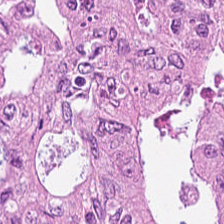Hematoxylin and eosin · FFPE — Q: What is shown here?
A: The field shows adenocarcinoma.
